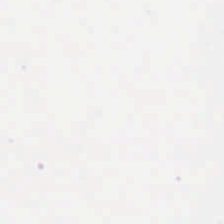Hematoxylin and eosin — Background — no tissue in this field.
